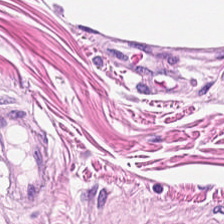224×224 px tile; H&E stain.
Q: What tissue type is shown here?
A: Muscularis.
